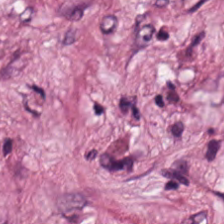H&E-stained tissue section — This field is tumor-associated stroma.
